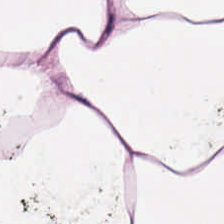H&E stain.
The tissue here is adipocytes.
